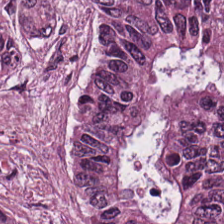Hematoxylin-and-eosin stained section. Classification = colorectal adenocarcinoma.
